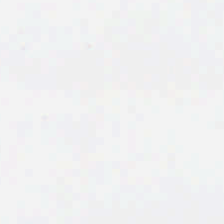Empty field — background.
